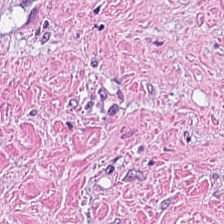Q: What does this patch show?
A: The field shows tumor-associated stroma.
